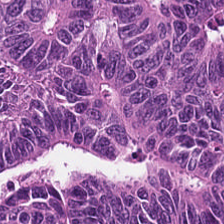WSI patch. Hematoxylin and eosin. Q: Identify the tissue.
A: It is adenocarcinoma.
